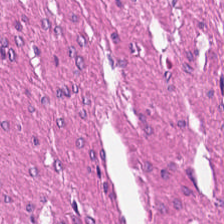Stain: H&E.
Tissue type: muscularis.
